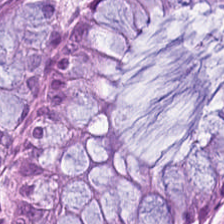Tissue class: benign colonic mucosa.
